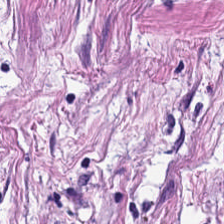H&E stain. This field is tumor stroma.
